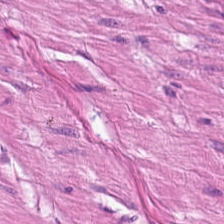Histology — smooth muscle.
